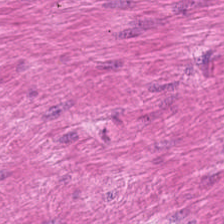H&E — The predominant tissue is muscularis.
